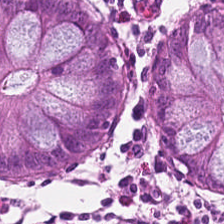H&E stain.
Q: Classify this patch.
A: The field shows normal colon mucosa.
